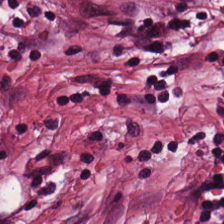{"tissue_type": "tumor-associated stroma"}
